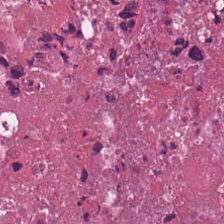H&E stain. 224×224 px patch. This field is necrotic debris.
